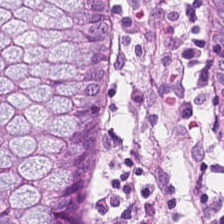H&E — Q: What type of tissue is this?
A: The field shows non-neoplastic colon mucosa.
